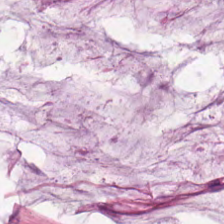Hematoxylin-and-eosin section: mucus.
